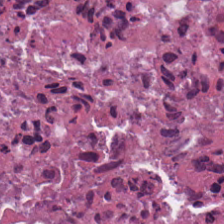Hematoxylin and eosin.
Classification = debris.
